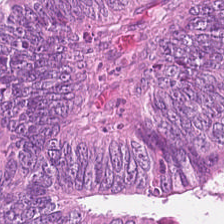Q: What is the predominant tissue type?
A: This is colorectal adenocarcinoma epithelium.
